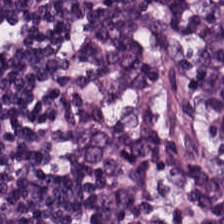H&E-stained tissue section — Q: What is shown in this field?
A: The field shows lymphocyte aggregate.
